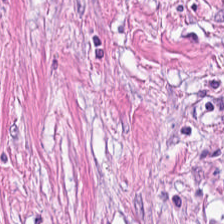Brightfield microscopy. Hematoxylin and eosin. The tissue here is tumor-associated stroma.
